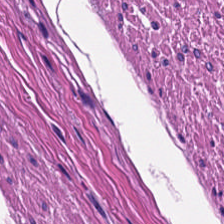H&E-stained tissue section; FFPE tissue section. Predominant tissue = smooth muscle.
